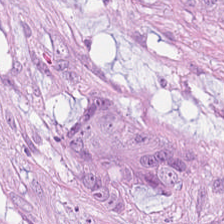Stain: H&E stain.
Tissue class: malignant epithelium.
